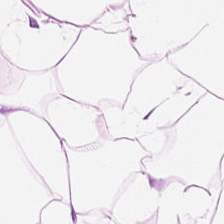The tissue is adipose.
